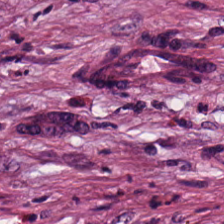Hematoxylin and eosin — Finding → cancer-associated stroma.
